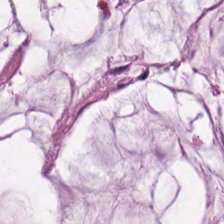H&E stain · formalin-fixed paraffin-embedded section. The predominant tissue is extracellular mucin.
